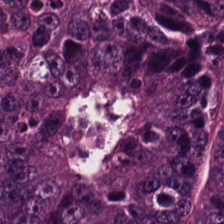H&E-stained tissue section — The predominant tissue is colorectal adenocarcinoma epithelium.
